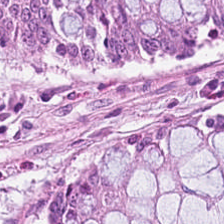Stain: H&E stain.
Tissue class: normal colonic mucosa.
